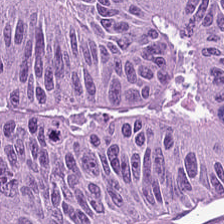Adenocarcinoma.
